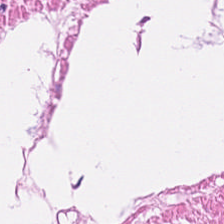Stain: H&E.
Tissue class: muscularis.
